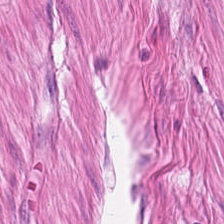H&E stain. Showing smooth-muscle tissue.
